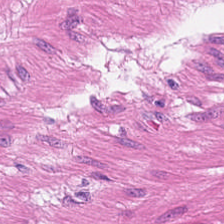WSI patch. Hematoxylin and eosin. Q: What is the predominant tissue type?
A: This is smooth muscle.
